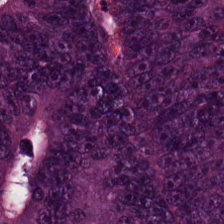H&E-stained tissue section · FFPE tissue section — Colorectal adenocarcinoma epithelium.
